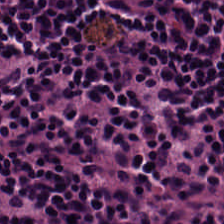Formalin-fixed paraffin-embedded section; hematoxylin-and-eosin stained section — The tissue here is lymphocytic infiltrate.
